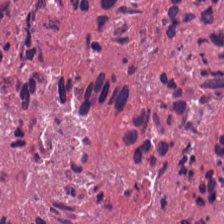Predominantly debris.
